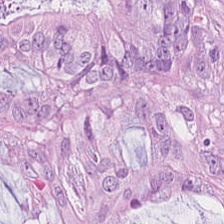Histology → colorectal adenocarcinoma epithelium.
